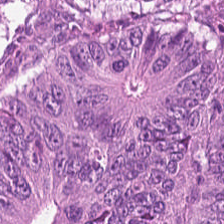H&E — The tissue here is adenocarcinoma.
